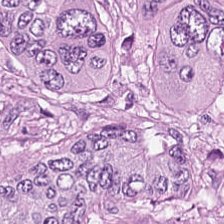H&E.
This patch shows malignant epithelium.
